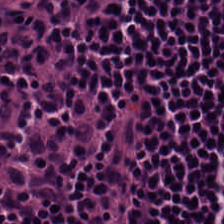Impression — lymphoid infiltrate.
